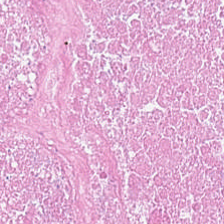Showing cellular debris.
